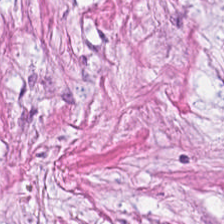Hematoxylin-and-eosin stained section. The tissue here is desmoplastic stroma.
